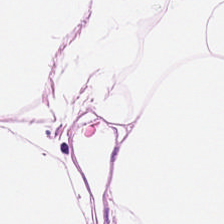H&E stain; 0.5 µm per pixel; 224×224 pixel tile. Predominant tissue = adipose tissue.
